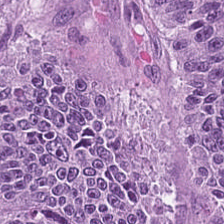H&E-stained tissue section. Brightfield microscopy. FFPE tissue section. Showing colorectal adenocarcinoma.
